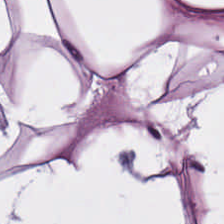H&E — Classification: adipose tissue.
